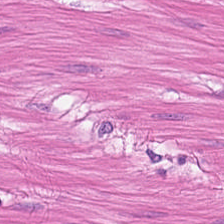Q: What tissue type is shown here?
A: It is muscularis.
